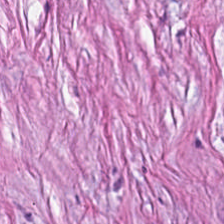FFPE · H&E stain — Predominant tissue — desmoplastic stroma.
